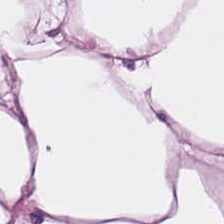Tissue type — adipose tissue.
